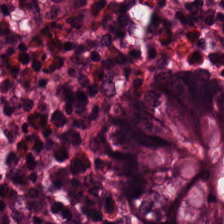The tissue here is benign colonic mucosa.
